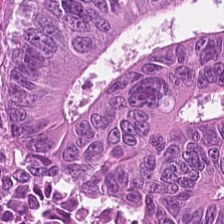Formalin-fixed paraffin-embedded section · 224×224 px patch · hematoxylin and eosin — Q: What is shown here?
A: Tumor epithelium.
